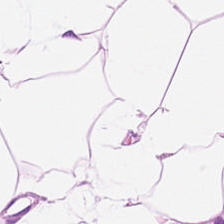H&E.
Tissue = adipose.
